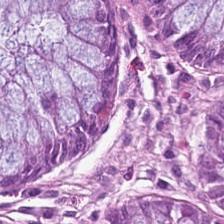Finding → normal colonic mucosa.
